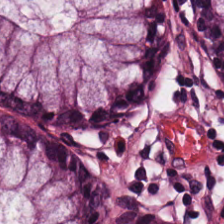224×224 pixel tile; 0.5 µm/px; hematoxylin and eosin. Histology → normal colonic mucosa.
